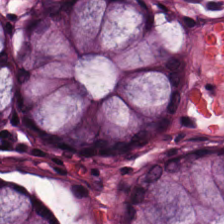Stain: H&E-stained tissue section.
Acquisition: brightfield microscopy.
Predominant tissue: benign colonic mucosa.
